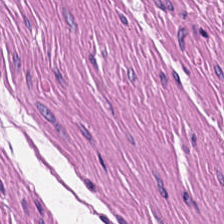224×224 px tile; hematoxylin and eosin; whole-slide-image patch. Predominantly smooth muscle.
